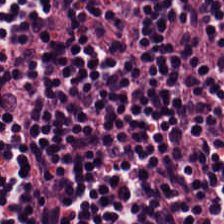H&E-stained tissue section. 224×224 px tile. The tissue type is lymphocytes.
